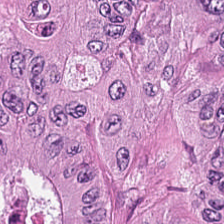H&E-stained tissue section. Tissue = colorectal adenocarcinoma.
